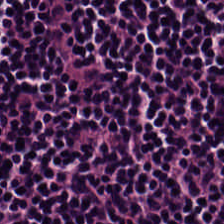Predominant tissue = lymphocytes.
